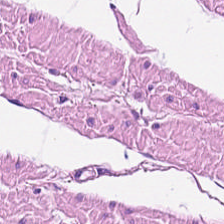This patch shows smooth-muscle tissue.
